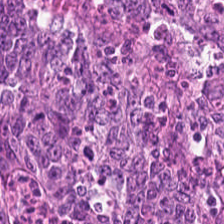FFPE; hematoxylin-and-eosin stained section; 224×224 px tile. Tissue: tumor epithelium.
